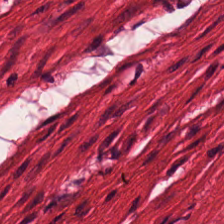Hematoxylin-and-eosin stained section. FFPE. Showing smooth muscle.
